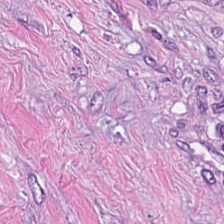H&E stain.
Showing cancer-associated stroma.
